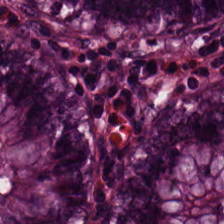H&E — benign colonic mucosa.
